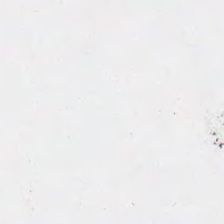Q: What is shown in this field?
A: It is no tissue.
